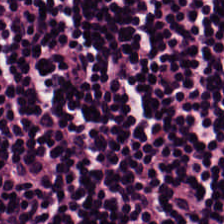Finding — lymphocyte aggregate.
